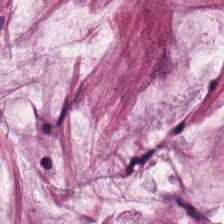Hematoxylin-and-eosin stained section. Tissue class = mucus.
